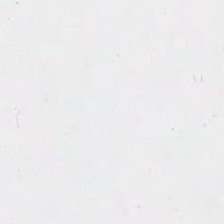224×224 px patch · H&E. Q: What is shown in this field?
A: The field shows empty background.
